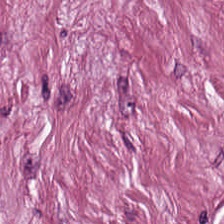H&E-stained tissue section.
{"tissue_type": "tumor stroma"}
